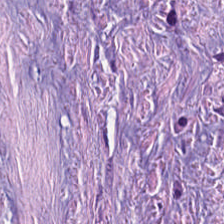Stain: hematoxylin and eosin.
Predominant tissue: tumor-associated stroma.
